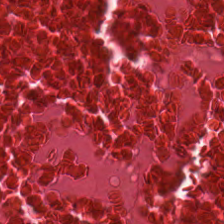Hematoxylin and eosin; FFPE tissue section; whole-slide-image patch. Q: What is shown here?
A: This is necrotic debris.
